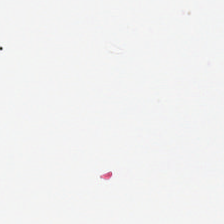Q: Classify this patch.
A: This is background.
